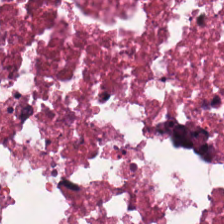FFPE. 224×224 px tile. Hematoxylin-and-eosin stained section.
The tissue here is debris.
